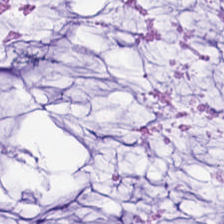H&E. FFPE tissue section. Whole-slide-image patch — Tissue type — mucin.
